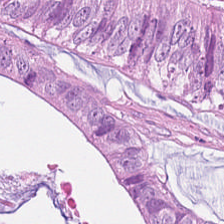H&E; 224×224 px patch; formalin-fixed paraffin-embedded section.
The tissue here is tumor epithelium.
